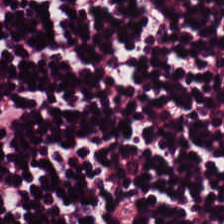H&E — The tissue type is lymphocytic infiltrate.
